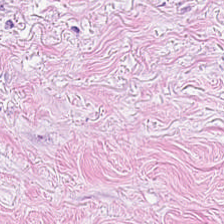Hematoxylin-and-eosin stained section. 0.5 µm per pixel. FFPE tissue section.
The tissue here is cancer-associated stroma.
